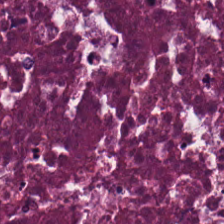0.5 µm per pixel · hematoxylin and eosin — This patch shows cellular debris.
